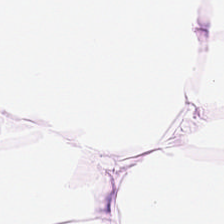Tissue = adipose tissue.
